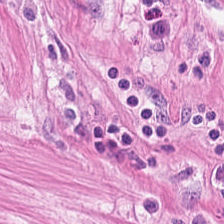Finding — smooth muscle.
